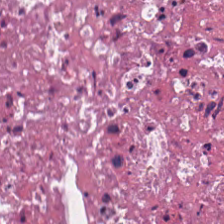Formalin-fixed paraffin-embedded section. H&E stain. Tissue class = necrotic debris.
